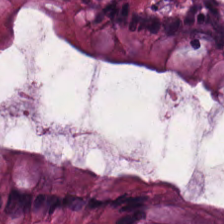Hematoxylin-and-eosin stained section · WSI patch. This patch shows non-neoplastic colon mucosa.
